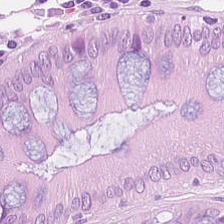Hematoxylin-and-eosin stained section — Histology — benign colonic mucosa.
